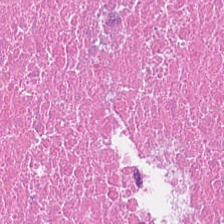0.5 microns per pixel. Whole-slide-image patch. Hematoxylin-and-eosin stained section.
Necrotic debris.
